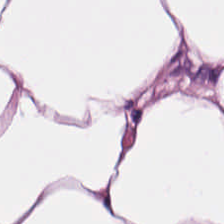H&E-stained tissue section · brightfield.
Q: What does this patch show?
A: The field shows adipocytes.
